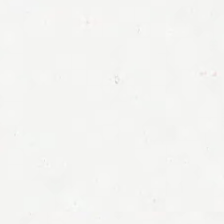Background (no tissue).
